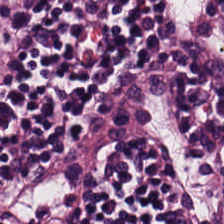The tissue class is lymphoid infiltrate.
